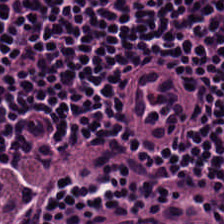H&E stain. Showing lymphoid infiltrate.
